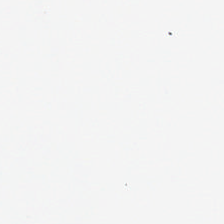H&E stain. Brightfield microscopy — Finding — background.
